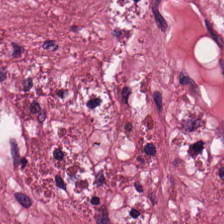Tumor stroma.
